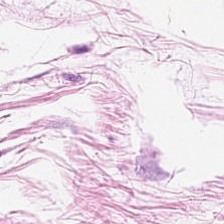FFPE; brightfield; hematoxylin-and-eosin stained section. Predominantly adipose.
